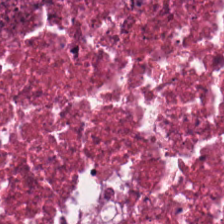Stain: hematoxylin-and-eosin stained section.
Tissue type: necrotic debris.
